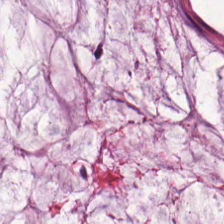Hematoxylin and eosin — Tissue type: mucin.
